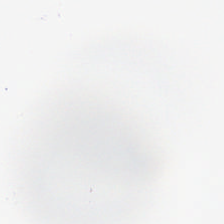Q: What is shown in this field?
A: This is empty background.
